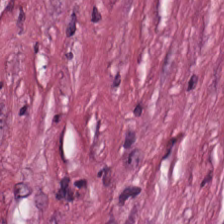The predominant tissue is cancer-associated stroma.
